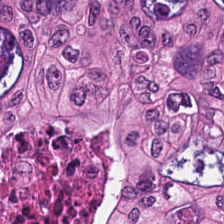224×224 pixel tile. H&E-stained tissue section. Tissue: malignant epithelium.
